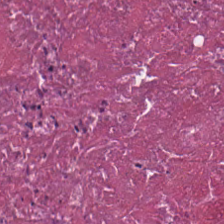H&E-stained tissue section; brightfield; FFPE tissue section. Q: What is shown in this field?
A: The field shows cellular debris.
